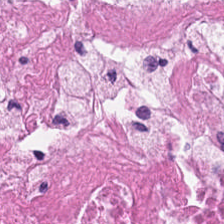FFPE tissue section. Hematoxylin-and-eosin stained section. Tissue type — necrotic debris.
